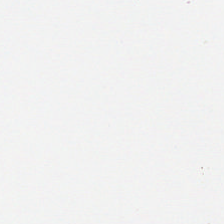Q: What does this patch show?
A: The field shows no tissue.
